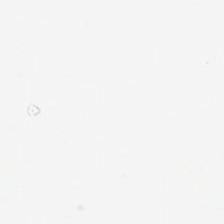Background — no tissue in this field.
